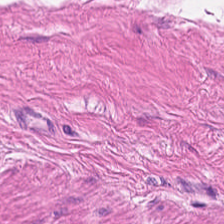H&E-stained tissue section; 0.5 microns per pixel. This patch shows smooth muscle.
